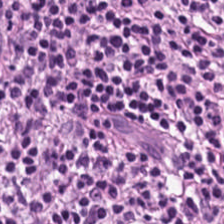H&E.
{"tissue_type": "lymphocytic infiltrate"}
